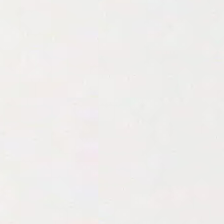0.5 microns per pixel; H&E stain; WSI patch — Field content — background.
